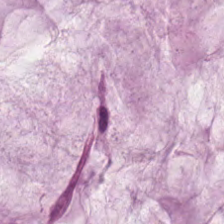Hematoxylin-and-eosin stained section.
Impression — mucin.
